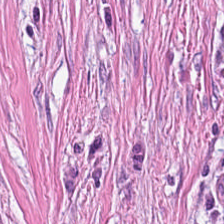H&E stain — Tissue class — tumor-associated stroma.
